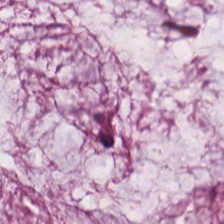Hematoxylin and eosin; WSI patch; 224×224 px patch. The tissue class is mucin.
